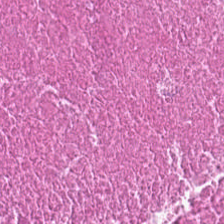Hematoxylin and eosin — The predominant tissue is cellular debris.
